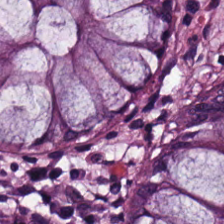H&E stain. This patch shows normal colonic mucosa.
